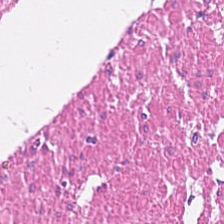Hematoxylin and eosin. Brightfield. Formalin-fixed paraffin-embedded section. Predominantly smooth-muscle tissue.
